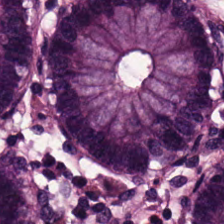Stain: H&E-stained tissue section.
Preparation: FFPE.
Tile size: 224×224 px tile.
Classification: normal colonic mucosa.
